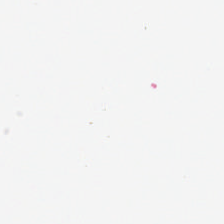Empty field — background.
